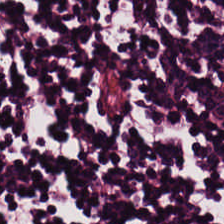H&E stain. {"tissue_type": "lymphocytic infiltrate"}
